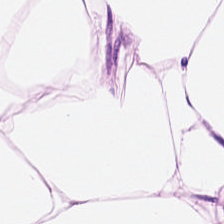Hematoxylin-and-eosin stained section · 224×224 pixel tile — Adipose tissue.
